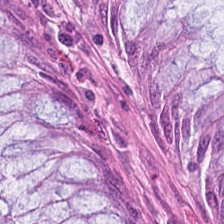Hematoxylin-and-eosin stained section.
Showing benign colonic mucosa.
